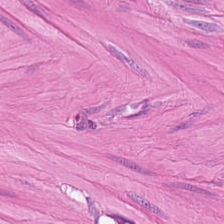Hematoxylin-and-eosin section: smooth muscle.
